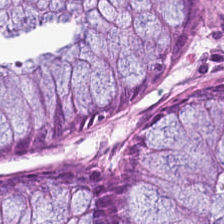Hematoxylin-and-eosin stained section. Predominantly normal colon mucosa.
